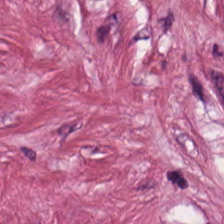H&E. The tissue class is cancer-associated stroma.
